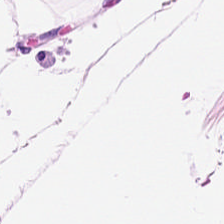Hematoxylin-and-eosin section: adipose tissue.
